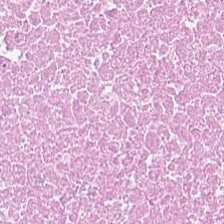224×224 px patch. H&E — Tissue type: debris.
